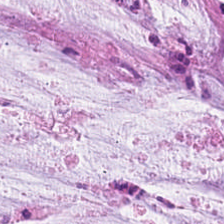Tissue — mucin.
